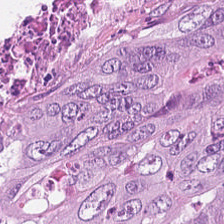H&E; whole-slide-image patch; 224×224 pixel tile.
Tissue class = colorectal adenocarcinoma epithelium.
